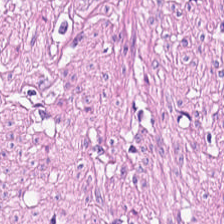Stain: hematoxylin-and-eosin stained section.
Resolution: 0.5 µm per pixel.
Acquisition: brightfield microscopy.
Classification: smooth-muscle tissue.
